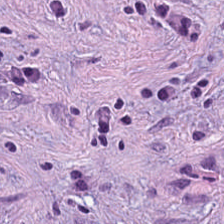Brightfield microscopy · 224×224 px patch · H&E-stained tissue section — Q: What is the predominant tissue type?
A: This is tumor-associated stroma.
